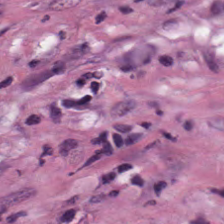H&E.
The tissue class is desmoplastic stroma.
